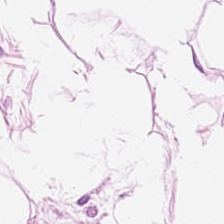Whole-slide-image patch; hematoxylin and eosin.
Q: What type of tissue is this?
A: Adipose tissue.
